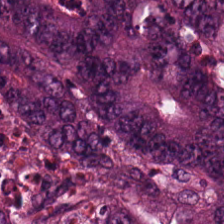Tissue — colorectal adenocarcinoma.
